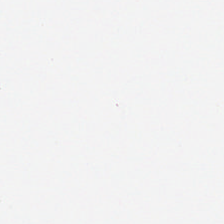H&E. 224×224 pixel tile. FFPE tissue section. Classification — background.
